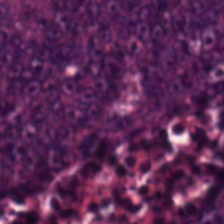0.5 microns per pixel · hematoxylin-and-eosin stained section.
{"tissue_type": "malignant epithelium"}
